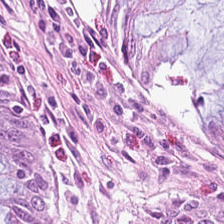Tissue class: non-neoplastic colon mucosa.
